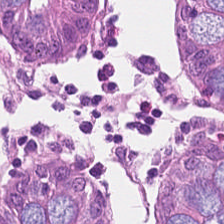FFPE; hematoxylin-and-eosin stained section.
Showing normal colonic mucosa.
